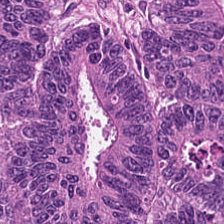224×224 pixel tile; hematoxylin-and-eosin stained section; 0.5 µm/px.
This field is adenocarcinoma.
